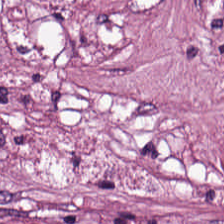Stain: hematoxylin-and-eosin stained section.
Tissue type: cancer-associated stroma.
